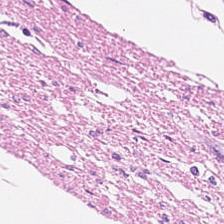H&E-stained tissue section. This field is smooth muscle.
